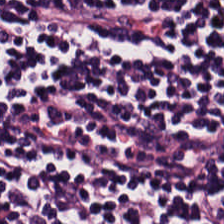H&E-stained tissue section. 0.5 µm per pixel. FFPE tissue section.
{"tissue_type": "lymphocyte aggregate"}
